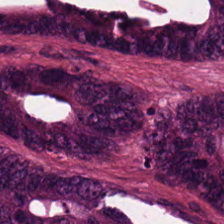Hematoxylin and eosin — {"tissue_type": "adenocarcinoma"}
